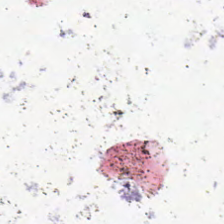Brightfield microscopy · H&E-stained tissue section — Q: What is shown here?
A: This is no tissue.
